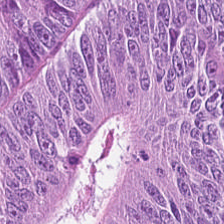H&E-stained tissue section — Q: What is shown in this field?
A: This is colorectal adenocarcinoma epithelium.
